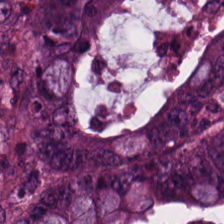Hematoxylin-and-eosin stained section · 224×224 pixel tile.
{"tissue_type": "adenocarcinoma"}
